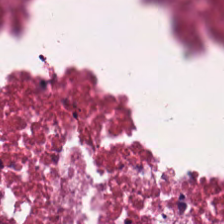Hematoxylin-and-eosin stained section — Classification — cellular debris.
